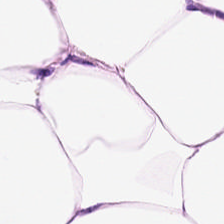Hematoxylin and eosin. Showing adipose tissue.
